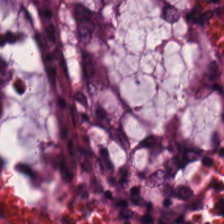FFPE tissue section; 224×224 px tile; hematoxylin and eosin. Predominant tissue — non-neoplastic colon mucosa.
